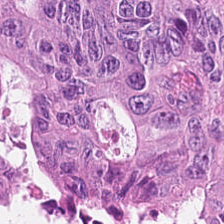H&E-stained tissue section. Q: What tissue type is shown here?
A: The field shows colorectal adenocarcinoma epithelium.
